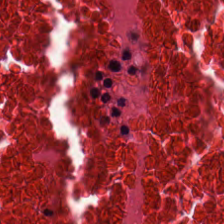Brightfield; H&E. Showing debris.
